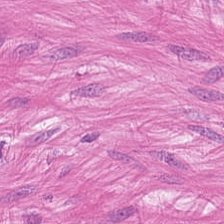Hematoxylin and eosin. 20× equivalent magnification. This patch shows smooth muscle.
